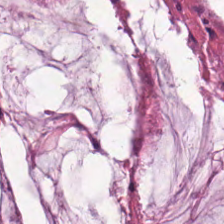Whole-slide-image patch; H&E-stained tissue section. Classification — mucin.
